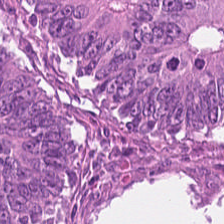H&E stain.
The tissue type is colorectal adenocarcinoma epithelium.
